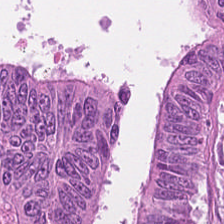H&E-stained tissue section showing colorectal adenocarcinoma.
